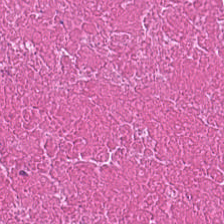Hematoxylin and eosin. This patch shows cellular debris.
